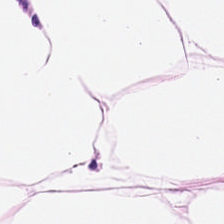Formalin-fixed paraffin-embedded section · hematoxylin-and-eosin stained section — This field is adipose.
